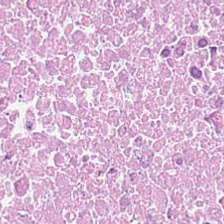The classification is debris.
